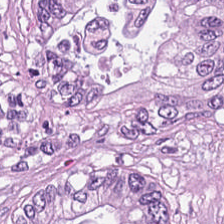H&E. The predominant tissue is colorectal adenocarcinoma.
